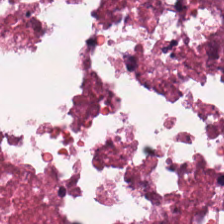Histology — necrotic debris.
